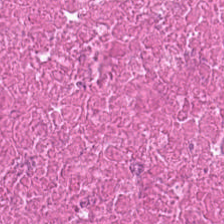Hematoxylin-and-eosin stained section — Tissue class = debris.
